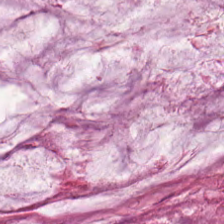Stain: H&E stain.
Acquisition: WSI patch.
Predominant tissue: mucin.
